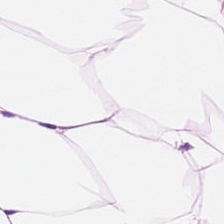WSI patch; 224×224 px patch; H&E stain — Q: Classify this patch.
A: The field shows adipose.
